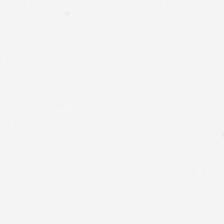FFPE tissue section · hematoxylin and eosin. Empty field — background (no tissue).
